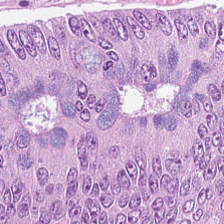Impression — adenocarcinoma.
